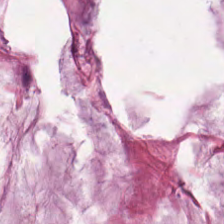Stain: H&E stain.
Tissue: extracellular mucin.
